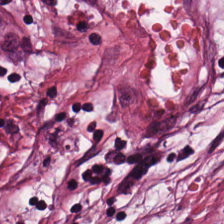Hematoxylin-and-eosin stained section.
Q: Classify this patch.
A: Desmoplastic stroma.
